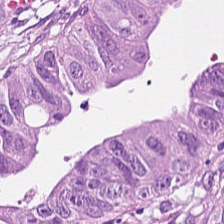Stain: hematoxylin-and-eosin stained section.
Classification: adenocarcinoma.
